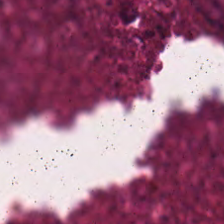0.5 µm/px; H&E — This patch shows cellular debris.
